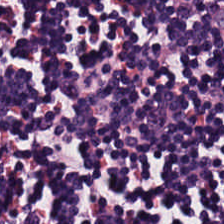H&E stain.
The predominant tissue is lymphocyte aggregate.
